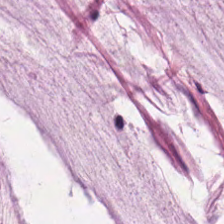Q: What is shown in this field?
A: Mucus.
